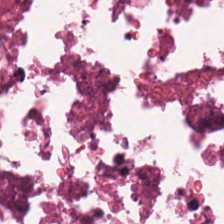This field is debris.
